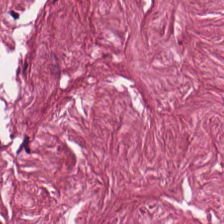This field is tumor-associated stroma.
